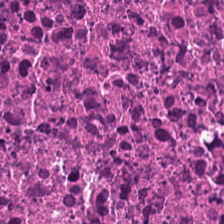224×224 px tile. H&E-stained tissue section.
The tissue here is cellular debris.
